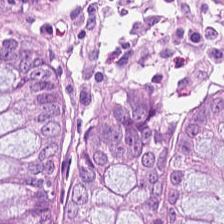The tissue is benign colonic mucosa.
